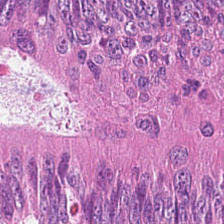{"tissue_type": "tumor epithelium"}
